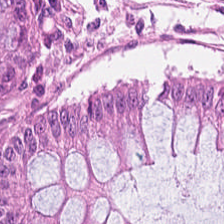Hematoxylin and eosin. Normal colon mucosa.
